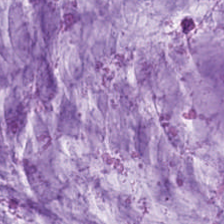Stain: hematoxylin-and-eosin stained section.
Predominant tissue: mucin.
